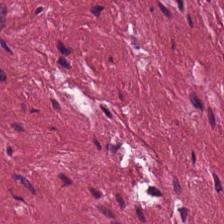H&E; 20× equivalent magnification. The tissue class is tumor-associated stroma.
